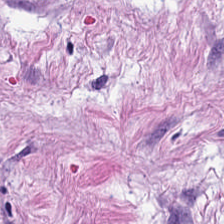H&E-stained section; the field shows tumor stroma.
